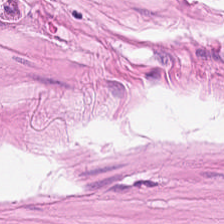Hematoxylin and eosin. The tissue here is muscularis.
